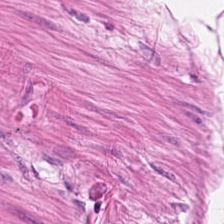H&E stain. Q: What is shown in this field?
A: This is smooth-muscle tissue.
